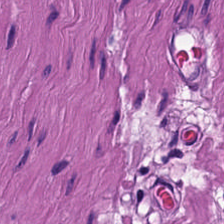Q: What tissue is shown?
A: Smooth-muscle tissue.
